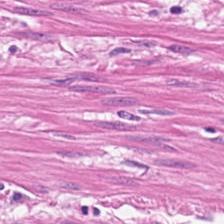Hematoxylin-and-eosin section: smooth muscle.
